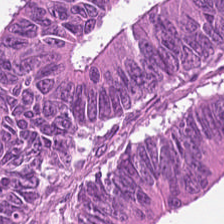Brightfield microscopy. FFPE tissue section. H&E — The predominant tissue is malignant epithelium.
